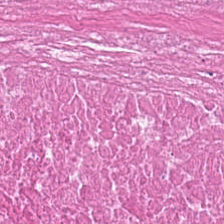Brightfield microscopy; hematoxylin and eosin — Q: Identify the tissue.
A: It is cellular debris.
